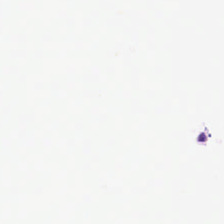H&E; FFPE tissue section.
The content is empty background.
